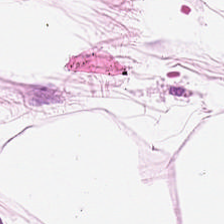Formalin-fixed paraffin-embedded section · H&E.
Q: What tissue is shown?
A: The field shows adipocytes.
